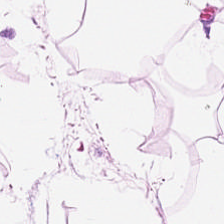Stain: H&E stain.
Classification: adipocytes.
